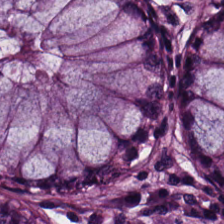Stain: H&E-stained tissue section.
Tissue type: normal colon mucosa.
